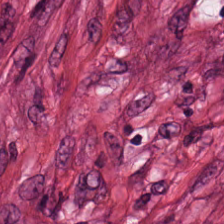This patch shows cancer-associated stroma.
